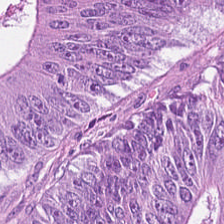H&E stain · whole-slide-image patch — Q: Classify this patch.
A: This is tumor epithelium.
